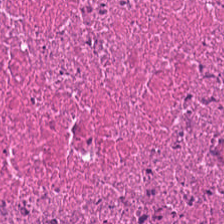H&E stain — This patch shows debris.
